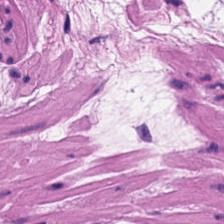WSI patch; hematoxylin and eosin; 20× equivalent magnification. Q: What tissue type is shown here?
A: The field shows muscularis.
